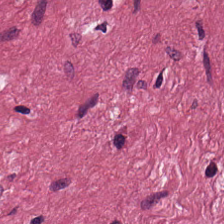Hematoxylin and eosin.
Q: What type of tissue is this?
A: The field shows cancer-associated stroma.
